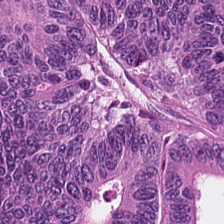Q: What does this patch show?
A: The field shows colorectal adenocarcinoma epithelium.
